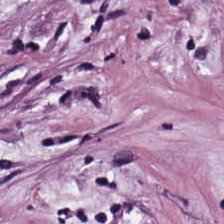H&E — tumor stroma.
